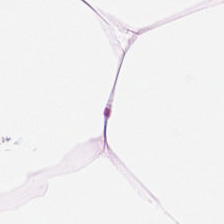H&E-stained tissue section.
This field is adipose tissue.
